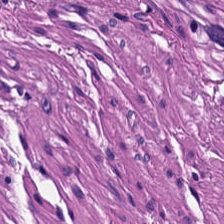H&E — This field is smooth muscle.
